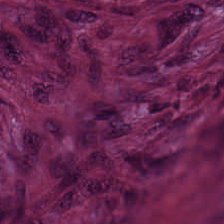The tissue here is desmoplastic stroma.
